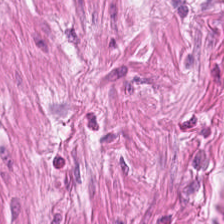Hematoxylin and eosin — This field is muscularis.
